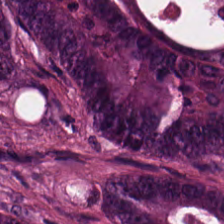The predominant tissue is colorectal adenocarcinoma epithelium.
